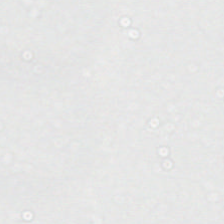H&E. Classification — background.
